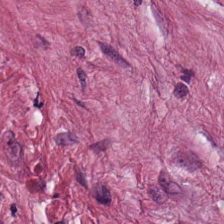H&E.
Cancer-associated stroma.
